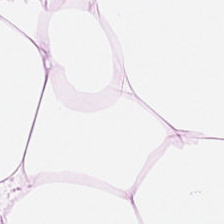Hematoxylin-and-eosin section: adipose tissue.
